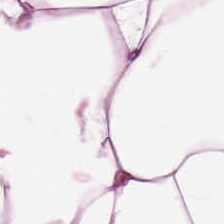224×224 px patch; hematoxylin and eosin.
Adipose tissue.
